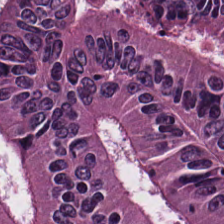Stain: hematoxylin and eosin.
Acquisition: WSI patch.
Preparation: formalin-fixed paraffin-embedded section.
Tissue type: colorectal adenocarcinoma.
